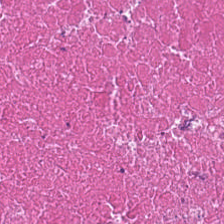H&E. Debris.
